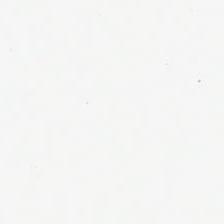224×224 pixel tile; hematoxylin and eosin. {"content": "empty background"}
